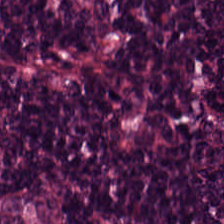Q: What is shown in this field?
A: The field shows lymphocyte aggregate.
